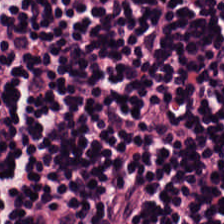Hematoxylin and eosin; 0.5 µm/px; 224×224 pixel tile — The classification is lymphocytes.
